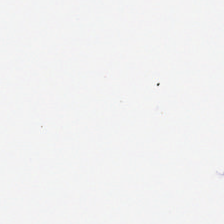0.5 microns per pixel. Formalin-fixed paraffin-embedded section. H&E. Field content: background (no tissue).
